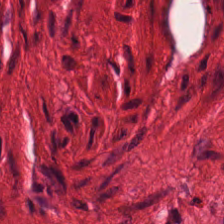Tissue: muscularis.
